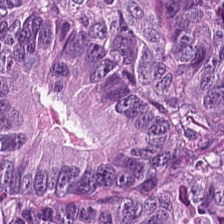Q: What does this patch show?
A: This is tumor epithelium.
